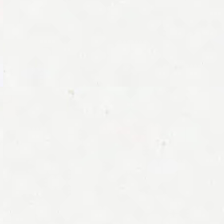No tissue present; background only.
